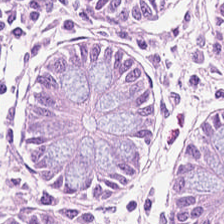Brightfield microscopy. H&E — The tissue here is non-neoplastic colon mucosa.
